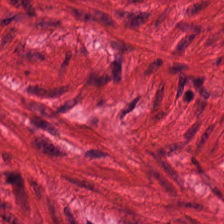Stain: hematoxylin-and-eosin stained section.
Predominant tissue: muscularis.
